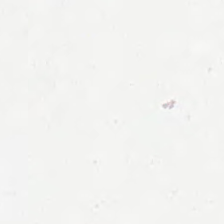Hematoxylin-and-eosin stained section · 224×224 px patch. Empty field — background (no tissue).
